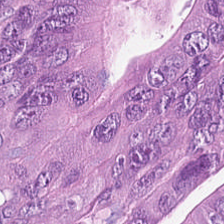Hematoxylin and eosin.
Predominantly malignant epithelium.
